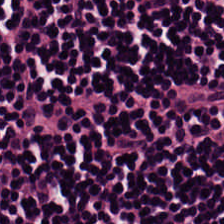Hematoxylin-and-eosin stained section.
The predominant tissue is lymphoid infiltrate.
